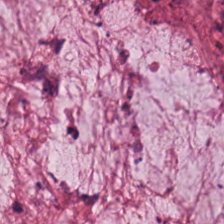H&E-stained tissue section. {"tissue_type": "extracellular mucin"}
